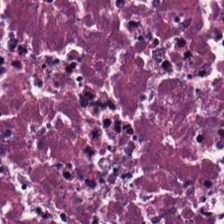H&E.
Tissue class: necrotic debris.
